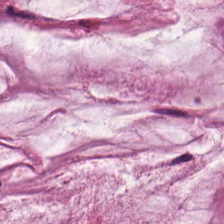FFPE. Hematoxylin-and-eosin stained section. Q: What tissue type is shown here?
A: This is mucin.
